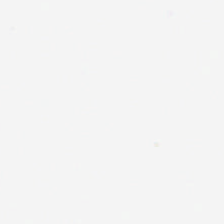H&E stain — Q: What does this patch show?
A: Background.
